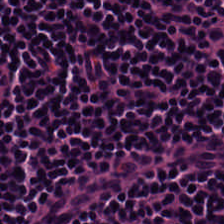224×224 pixel tile; hematoxylin and eosin. Predominantly lymphocytes.
